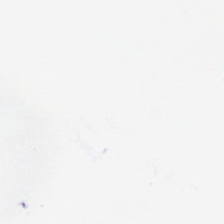Stain: hematoxylin-and-eosin stained section.
Content: no tissue.
